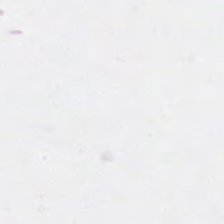224×224 px tile. 0.5 microns per pixel. H&E-stained tissue section. Q: What is shown here?
A: The field shows no tissue.
